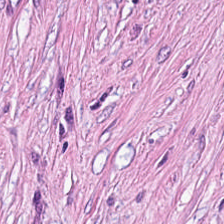Stain: hematoxylin and eosin.
Classification: tumor-associated stroma.
